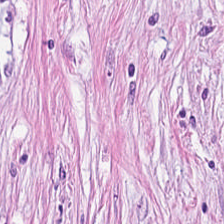FFPE tissue section · 224×224 px patch · H&E — Q: What is the predominant tissue type?
A: It is desmoplastic stroma.
